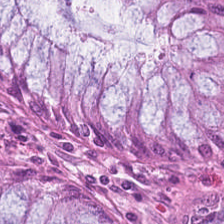Stain: hematoxylin and eosin.
Tissue class: normal colon mucosa.
